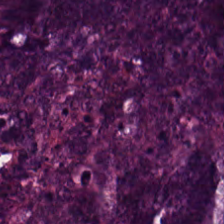H&E — The predominant tissue is adenocarcinoma.
